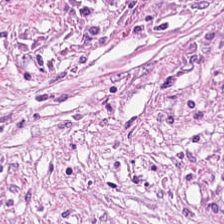FFPE tissue section; hematoxylin and eosin.
Tissue = tumor-associated stroma.
